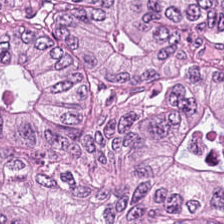Stain: H&E-stained tissue section.
Classification: malignant epithelium.
